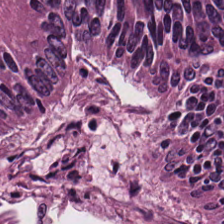Hematoxylin-and-eosin stained section · WSI patch · FFPE — Classification: colorectal adenocarcinoma.
